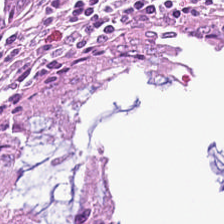Tissue type: benign colonic mucosa.
